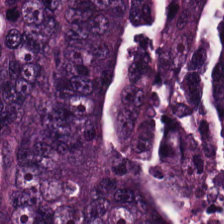H&E. Predominantly malignant epithelium.
